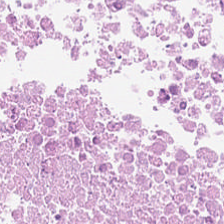H&E. 0.5 µm/px — Q: What tissue is shown?
A: It is cellular debris.
